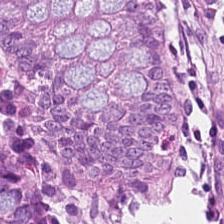The tissue is non-neoplastic colon mucosa.
